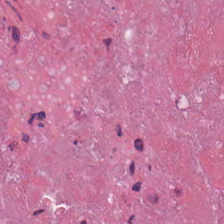The predominant tissue is necrotic debris.
